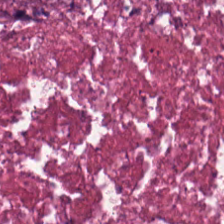Brightfield. H&E stain. 224×224 pixel tile — This field is necrotic debris.
